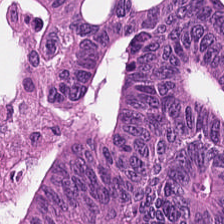0.5 µm/px. FFPE. Hematoxylin and eosin — Tissue — adenocarcinoma.
